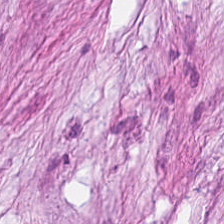Stain: H&E.
Predominant tissue: desmoplastic stroma.
